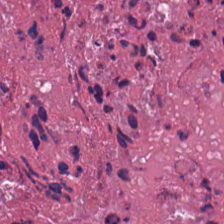Q: What is shown here?
A: The field shows debris.
